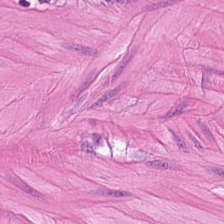Hematoxylin-and-eosin stained section; brightfield microscopy; 224×224 px tile — Q: What is the predominant tissue type?
A: This is muscularis.
